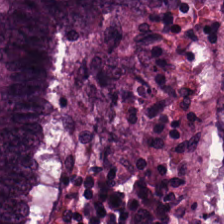224×224 px tile; H&E stain.
Predominantly colorectal adenocarcinoma.
